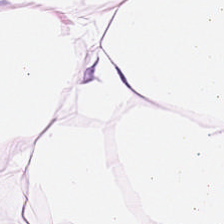Stain: H&E-stained tissue section.
Tissue type: fat tissue.
